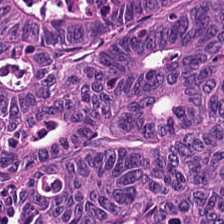FFPE tissue section · hematoxylin and eosin.
The classification is malignant epithelium.
